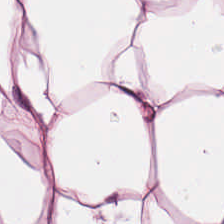Brightfield; H&E stain. This field is adipocytes.
